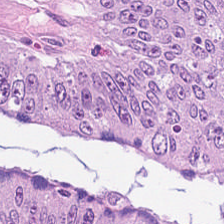Hematoxylin-and-eosin stained section.
Predominantly adenocarcinoma.
